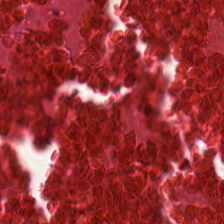Hematoxylin and eosin. The tissue here is cellular debris.
